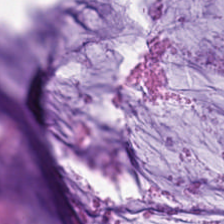0.5 µm per pixel; H&E-stained tissue section. The predominant tissue is mucin.
